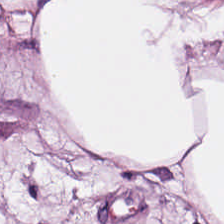224×224 px patch. H&E stain.
This field is fat tissue.
